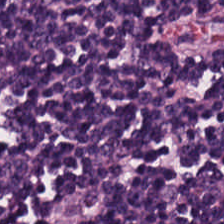Hematoxylin and eosin — This field is lymphoid infiltrate.
